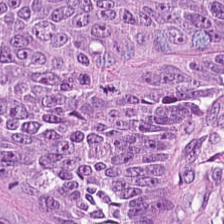H&E stain.
This field is colorectal adenocarcinoma epithelium.
